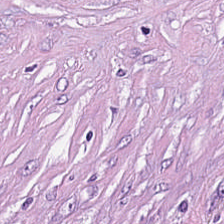Stain: hematoxylin-and-eosin stained section.
Classification: cancer-associated stroma.
